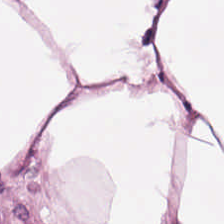Stain: H&E.
Classification: adipocytes.
